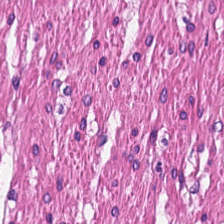Finding — smooth muscle.
